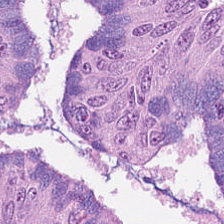Stain: hematoxylin and eosin.
Predominant tissue: adenocarcinoma.
